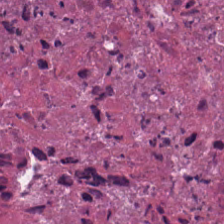H&E-stained tissue section showing cellular debris.
